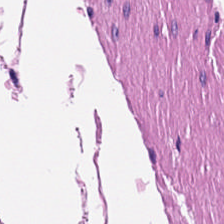Q: What does this patch show?
A: This is smooth-muscle tissue.
